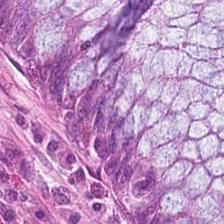Hematoxylin and eosin; whole-slide-image patch.
This field is non-neoplastic colon mucosa.
